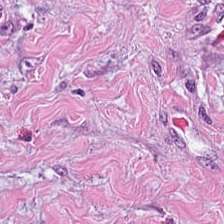H&E-stained tissue section — Q: What is the predominant tissue type?
A: This is tumor stroma.
